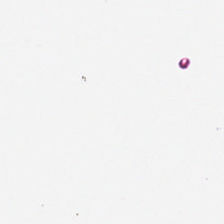Field content: empty background.
